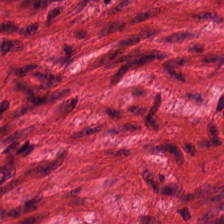Stain: H&E stain.
Tile size: 224×224 px patch.
Predominant tissue: smooth muscle.
